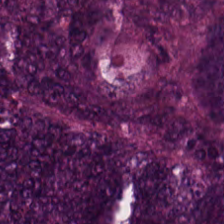H&E · 224×224 px tile · brightfield.
This patch shows colorectal adenocarcinoma epithelium.
